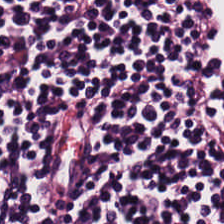H&E stain. 224×224 px tile. Formalin-fixed paraffin-embedded section — The tissue here is lymphocytes.
